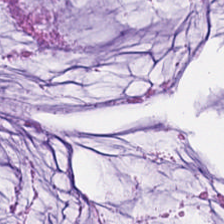H&E stain.
Predominant tissue: extracellular mucin.
